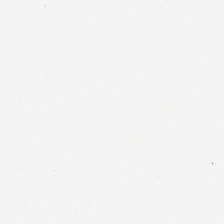Stain: H&E.
Classification: no tissue.
